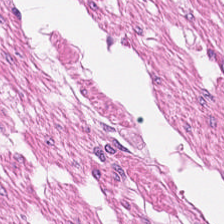Q: What is shown in this field?
A: Muscularis.
